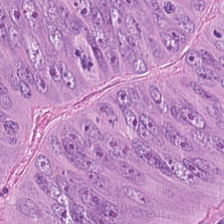Stain: H&E-stained tissue section.
Tissue type: colorectal adenocarcinoma epithelium.
